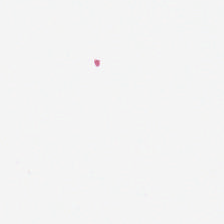Hematoxylin-and-eosin stained section. 20× equivalent magnification. 224×224 pixel tile.
Classification: background.
